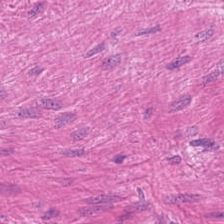Brightfield microscopy; hematoxylin-and-eosin stained section — Tissue = smooth-muscle tissue.
